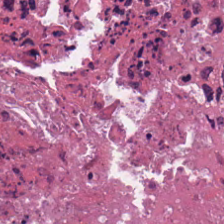Hematoxylin-and-eosin stained section. Finding → cellular debris.
